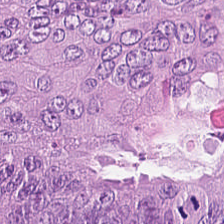Hematoxylin and eosin. 20× equivalent magnification. WSI patch. {"tissue_type": "colorectal adenocarcinoma"}
